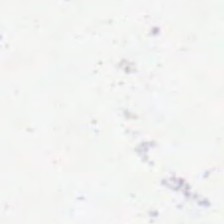Hematoxylin and eosin. 224×224 px patch. Whole-slide-image patch — Field content: no tissue.
